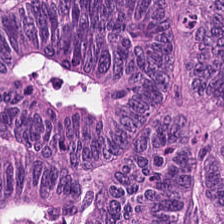Q: What tissue type is shown here?
A: Tumor epithelium.
